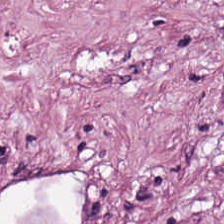FFPE. WSI patch. Hematoxylin and eosin.
Predominantly tumor-associated stroma.
